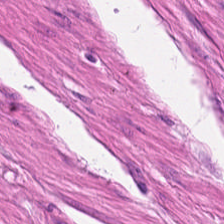Hematoxylin and eosin.
The predominant tissue is smooth-muscle tissue.
